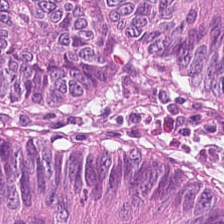Classification: colorectal adenocarcinoma.
